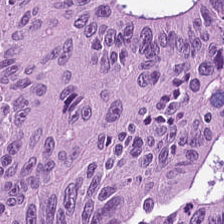Hematoxylin and eosin.
Impression → adenocarcinoma.
